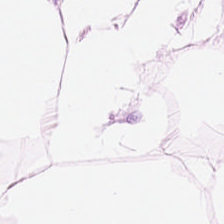224×224 pixel tile · H&E stain · brightfield. Classification — adipocytes.
